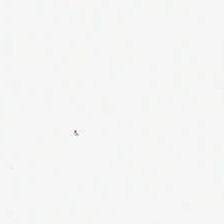Brightfield; H&E stain; 20× equivalent magnification.
Field content — background.
